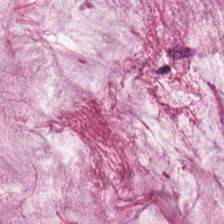H&E — {"tissue_type": "mucin"}
